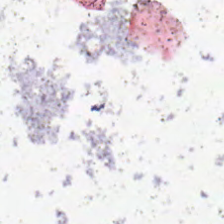H&E stain. Background.
